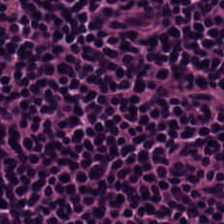Q: What is shown here?
A: It is lymphocytic infiltrate.
